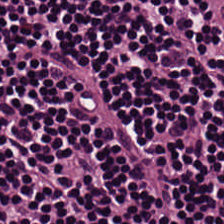Hematoxylin and eosin. 224×224 pixel tile. Formalin-fixed paraffin-embedded section.
Histology — lymphocyte aggregate.
